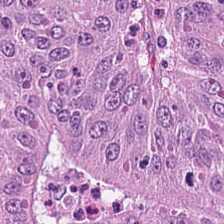H&E-stained section; the field shows colorectal adenocarcinoma epithelium.
